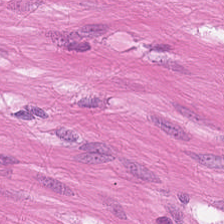Stain: H&E.
Predominant tissue: smooth muscle.
